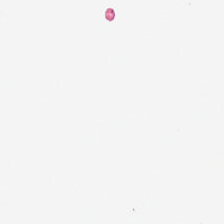WSI patch. H&E stain.
{"content": "background"}
